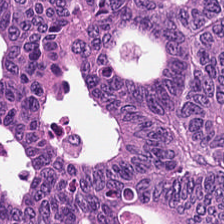224×224 px patch · hematoxylin and eosin — Histology → malignant epithelium.
